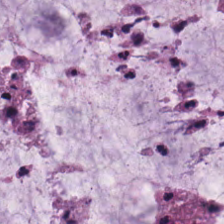Hematoxylin and eosin. Q: What is shown in this field?
A: It is mucus.
